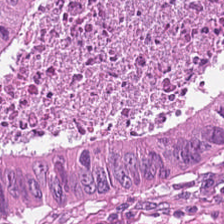H&E; 224×224 px tile. {"tissue_type": "colorectal adenocarcinoma epithelium"}
